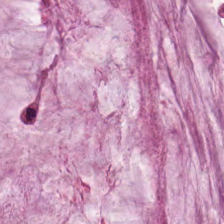FFPE. H&E — Q: What tissue is shown?
A: Mucus.
